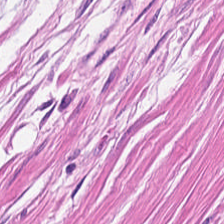Hematoxylin-and-eosin stained section · brightfield microscopy. Showing smooth-muscle tissue.
